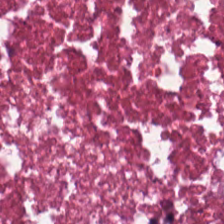H&E; whole-slide-image patch.
Impression — necrotic debris.
